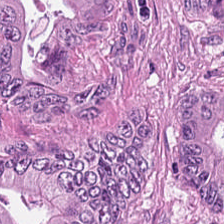H&E.
Predominantly malignant epithelium.
